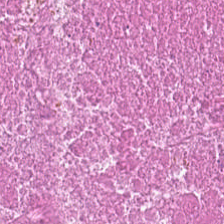224×224 px tile; 20× equivalent magnification; H&E. Cellular debris.
